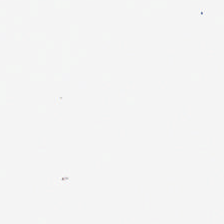Hematoxylin and eosin; 0.5 microns per pixel — Impression — empty background.
